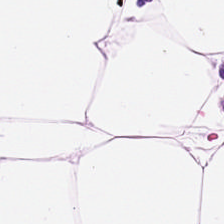Whole-slide-image patch; H&E stain; formalin-fixed paraffin-embedded section.
Tissue class — fat tissue.
